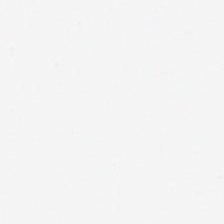Stain: H&E stain.
Content: background (no tissue).
